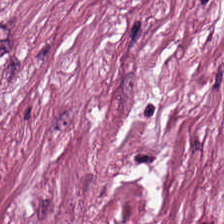Hematoxylin and eosin. Tissue class — tumor-associated stroma.
